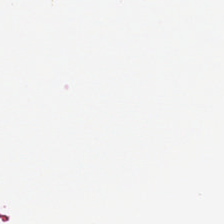224×224 px patch · hematoxylin and eosin · formalin-fixed paraffin-embedded section — Field content = background (no tissue).
